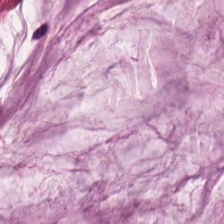Brightfield microscopy · H&E stain · 224×224 pixel tile. This patch shows extracellular mucin.
